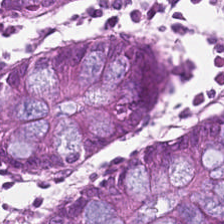Hematoxylin and eosin; brightfield — Q: Classify this patch.
A: This is non-neoplastic colon mucosa.
